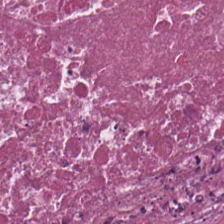H&E. Q: Identify the tissue.
A: This is cellular debris.
